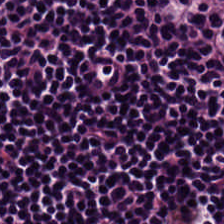H&E; 224×224 px tile — The classification is lymphocytic infiltrate.
